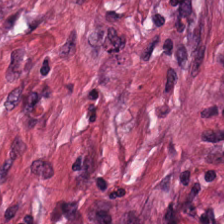Stain: H&E.
Resolution: 20× equivalent magnification.
Tissue class: tumor stroma.
